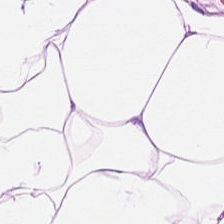This field is adipose tissue.
